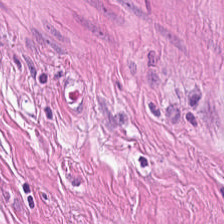Hematoxylin and eosin · FFPE — Q: What is shown in this field?
A: Muscularis.
